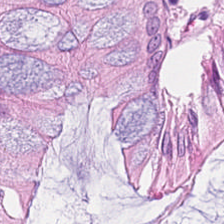Hematoxylin and eosin. The tissue here is non-neoplastic colon mucosa.
